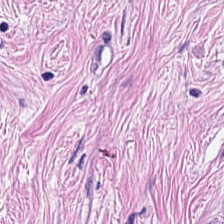{"tissue_type": "desmoplastic stroma"}
